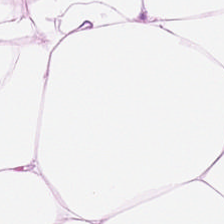Stain: hematoxylin and eosin.
Tissue type: adipose tissue.
